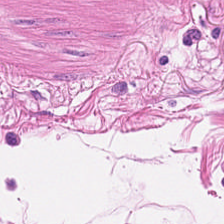Tissue: smooth-muscle tissue.
